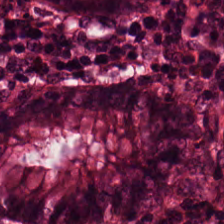0.5 microns per pixel. H&E-stained tissue section.
Q: Identify the tissue.
A: The field shows normal colon mucosa.
